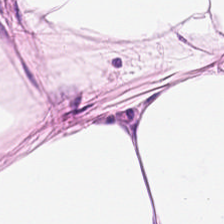Stain: H&E stain.
Tissue type: adipocytes.
